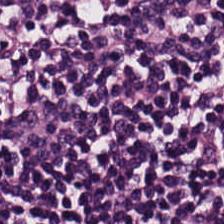20× equivalent magnification; H&E-stained tissue section. Histology — lymphocyte aggregate.
